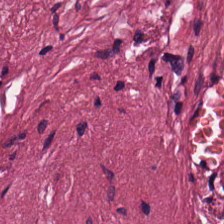Tissue = tumor-associated stroma.
